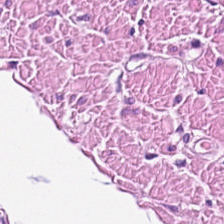Stain: hematoxylin-and-eosin stained section.
Classification: smooth-muscle tissue.
